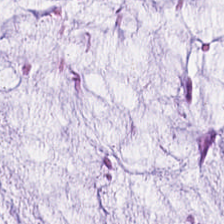WSI patch. Hematoxylin and eosin. Mucus.
